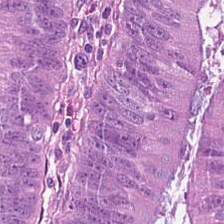Hematoxylin-and-eosin stained section. FFPE. 224×224 pixel tile. The tissue here is colorectal adenocarcinoma.
